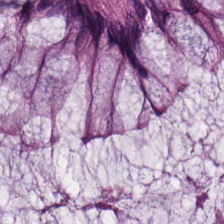Hematoxylin-and-eosin section: benign colonic mucosa.
